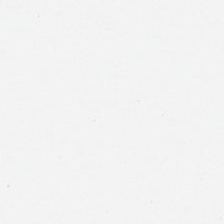H&E stain. Impression — no tissue.
